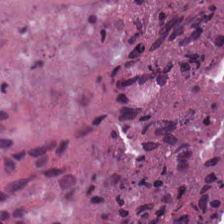The tissue here is necrotic debris.
